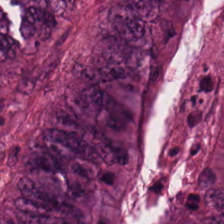Hematoxylin and eosin; 0.5 µm per pixel; 224×224 px patch — The tissue here is mucus.
